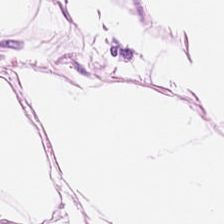The tissue here is adipose.
